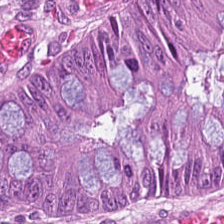H&E stain.
The predominant tissue is colorectal adenocarcinoma.
